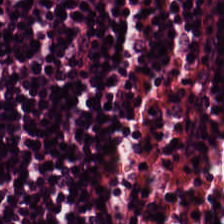Hematoxylin-and-eosin stained section · brightfield. Lymphocyte aggregate.
